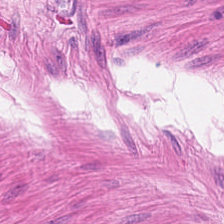Q: What tissue is shown?
A: This is muscularis.
